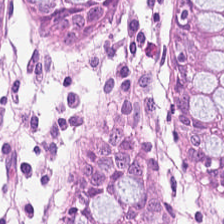224×224 px patch; H&E stain; 0.5 microns per pixel.
The tissue is normal colonic mucosa.
